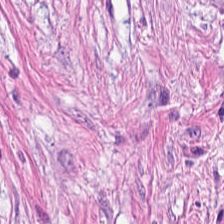Hematoxylin and eosin. The tissue class is desmoplastic stroma.
